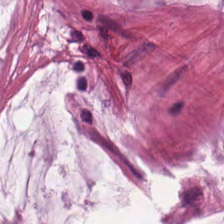H&E — mucus.
